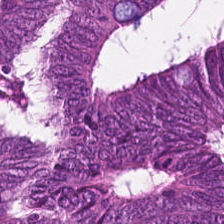H&E stain. 224×224 px patch. Showing colorectal adenocarcinoma.
